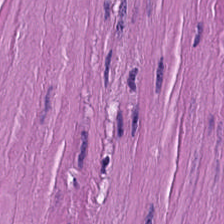Hematoxylin and eosin. Tissue type — muscularis.
